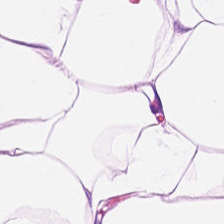H&E-stained tissue section.
Q: What tissue type is shown here?
A: The field shows adipocytes.
